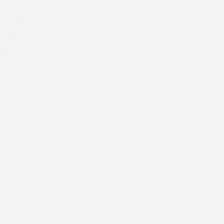H&E.
Finding — empty background.
